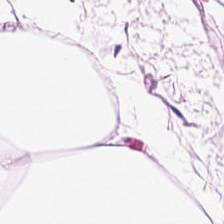Hematoxylin-and-eosin stained section; whole-slide-image patch.
This field is adipose tissue.
